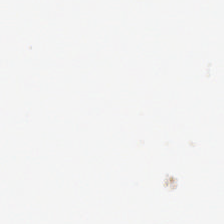224×224 px patch. Formalin-fixed paraffin-embedded section. H&E-stained tissue section — Content — background.
